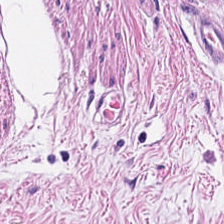H&E — Q: Identify the tissue.
A: This is muscularis.
